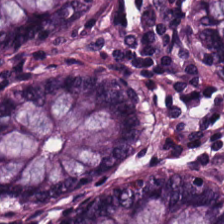Hematoxylin and eosin · FFPE tissue section.
Q: What is shown in this field?
A: Non-neoplastic colon mucosa.
